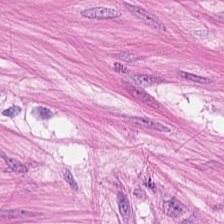Brightfield microscopy; hematoxylin and eosin. The predominant tissue is muscularis.
